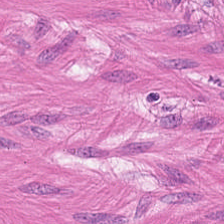Hematoxylin-and-eosin stained section — Tissue class = smooth-muscle tissue.
